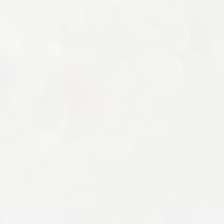Hematoxylin and eosin · FFPE tissue section.
The field content is background (no tissue).
